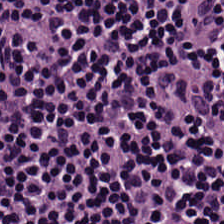Hematoxylin-and-eosin stained section · 224×224 px tile — The predominant tissue is lymphocytes.
